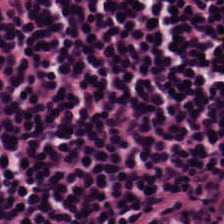Hematoxylin and eosin. FFPE.
Predominant tissue: lymphocyte aggregate.
